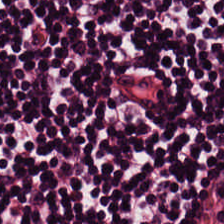224×224 px tile; H&E-stained tissue section.
Lymphocytes.
